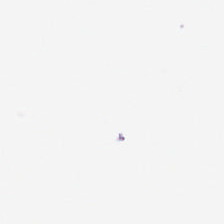H&E.
Field content — background.
